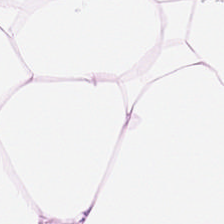WSI patch · hematoxylin and eosin. Predominantly adipose.
